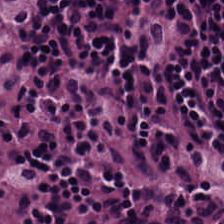H&E stain · 224×224 pixel tile — The tissue is lymphoid infiltrate.
